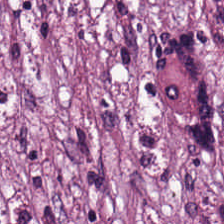Hematoxylin and eosin · WSI patch · 20× equivalent magnification.
Impression → tumor stroma.
